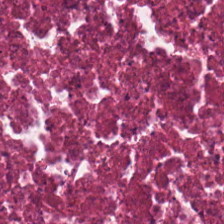Brightfield; H&E; formalin-fixed paraffin-embedded section.
Predominant tissue — necrotic debris.
